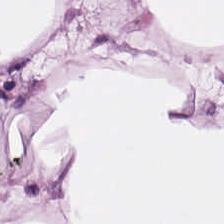H&E-stained tissue section; 0.5 µm per pixel.
Classification — adipose tissue.
